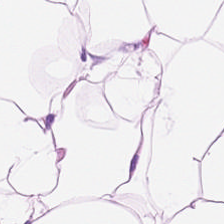224×224 px tile. Hematoxylin and eosin — Histology — adipocytes.
